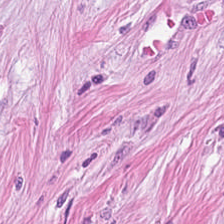Formalin-fixed paraffin-embedded section · H&E-stained tissue section. Tissue type: tumor-associated stroma.
